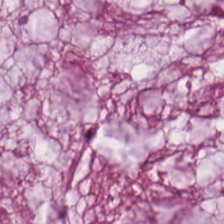Tissue type: extracellular mucin.
